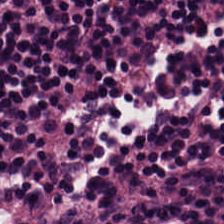Q: What type of tissue is this?
A: Lymphocyte aggregate.
